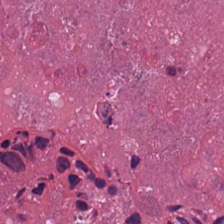H&E-stained tissue section — This patch shows debris.
